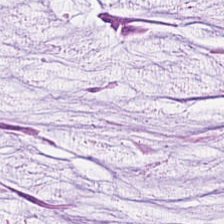Hematoxylin-and-eosin stained section. The predominant tissue is extracellular mucin.
